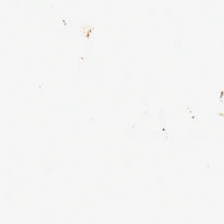H&E-stained tissue section. No tissue present; background only.
